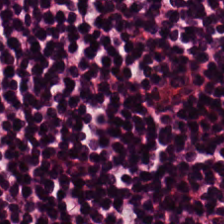Hematoxylin-and-eosin stained section. 224×224 pixel tile — Predominantly lymphocytic infiltrate.
